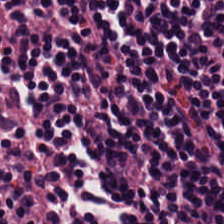H&E stain — Q: What type of tissue is this?
A: Lymphocyte aggregate.
